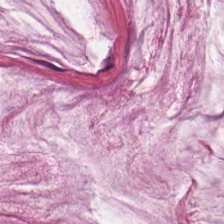Formalin-fixed paraffin-embedded section; hematoxylin and eosin.
Predominantly mucus.
